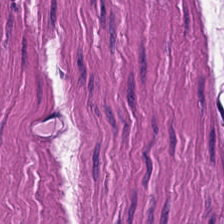Stain: H&E-stained tissue section.
Acquisition: WSI patch.
Preparation: FFPE tissue section.
Tissue class: muscularis.
